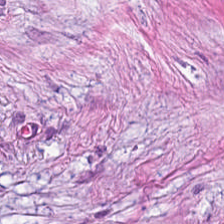{"tissue_type": "cancer-associated stroma"}
